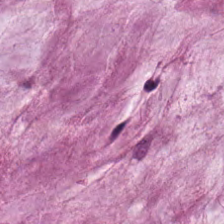H&E-stained tissue section.
Q: What is shown in this field?
A: The field shows mucus.
